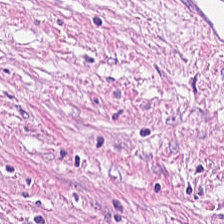Stain: H&E-stained tissue section.
Predominant tissue: tumor stroma.
